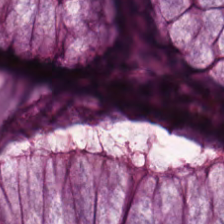H&E stain. Whole-slide-image patch.
{"tissue_type": "non-neoplastic colon mucosa"}
